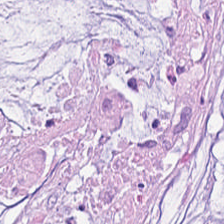H&E-stained tissue section. The tissue here is extracellular mucin.
